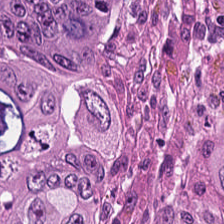Tissue type = colorectal adenocarcinoma epithelium.
